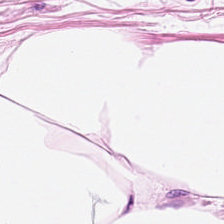H&E-stained tissue section · 0.5 µm per pixel.
This field is adipocytes.
